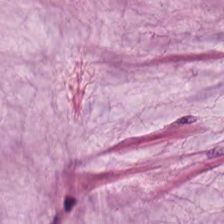Hematoxylin-and-eosin stained section · 0.5 microns per pixel — Q: Classify this patch.
A: The field shows mucus.
